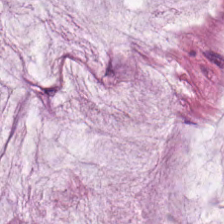Stain: H&E-stained tissue section.
Acquisition: brightfield microscopy.
Tile size: 224×224 px patch.
Tissue class: mucus.
